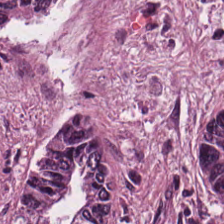H&E — adenocarcinoma.
